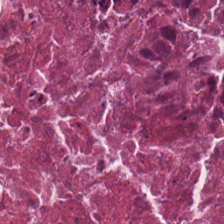H&E.
Showing debris.
